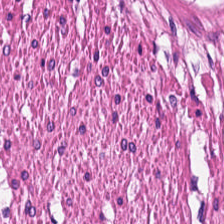Hematoxylin-and-eosin stained section — This patch shows smooth muscle.
